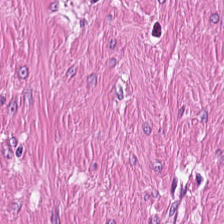H&E — Tissue — muscularis.
